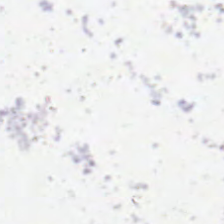Q: What does this patch show?
A: It is empty background.
